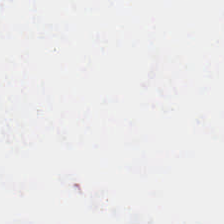Stain: H&E-stained tissue section.
Acquisition: whole-slide-image patch.
Resolution: 0.5 µm per pixel.
Field content: no tissue.
